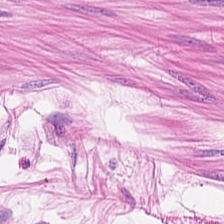Hematoxylin and eosin — Finding — smooth muscle.
